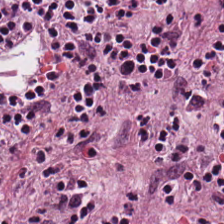Stain: H&E.
Tissue class: lymphocytes.
